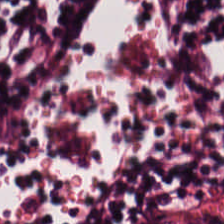H&E. 224×224 pixel tile.
Tissue type — lymphoid infiltrate.
